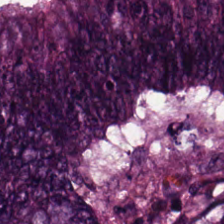Whole-slide-image patch. Hematoxylin-and-eosin stained section. This field is tumor epithelium.
